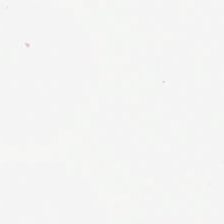H&E-stained tissue section — Background — no tissue in this field.
